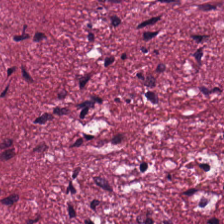H&E. Brightfield. 224×224 px tile.
The tissue here is tumor-associated stroma.
